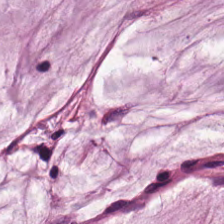H&E stain.
Tissue type: mucin.
